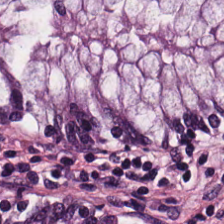H&E — normal colon mucosa.
